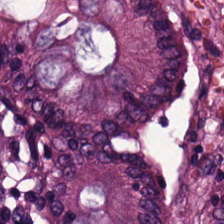Predominant tissue = normal colon mucosa.
